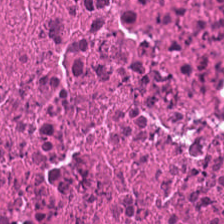H&E-stained tissue section. Predominantly cellular debris.
